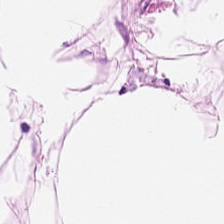0.5 microns per pixel · hematoxylin and eosin.
Q: What is shown in this field?
A: This is adipose.
